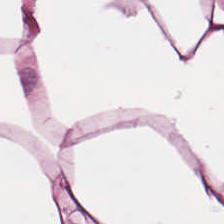H&E-stained tissue section; 20× equivalent magnification — Showing adipose.
